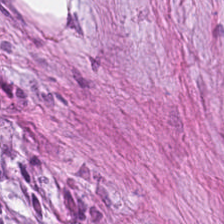H&E-stained tissue section showing tumor stroma.
